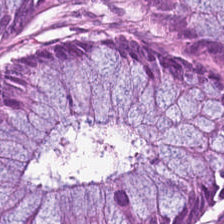Stain: H&E-stained tissue section.
Resolution: 0.5 µm/px.
Classification: normal colonic mucosa.
